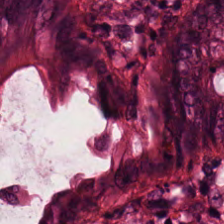Brightfield; hematoxylin and eosin — Finding → non-neoplastic colon mucosa.
